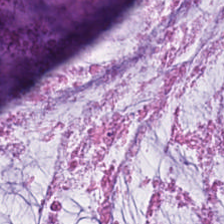H&E-stained tissue section.
This patch shows extracellular mucin.
